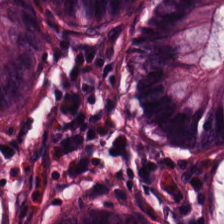H&E-stained tissue section. The tissue class is normal colonic mucosa.
